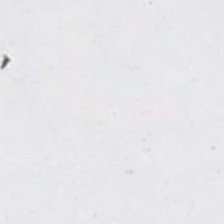Hematoxylin and eosin · FFPE tissue section.
Empty field — background (no tissue).
